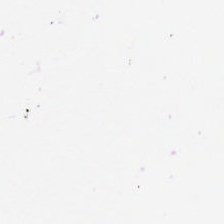This patch shows no tissue.
